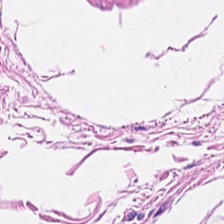H&E-stained tissue section.
{"tissue_type": "smooth muscle"}
